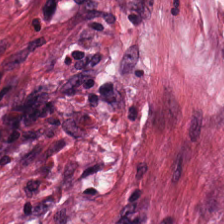Stain: H&E stain.
Tissue type: desmoplastic stroma.
